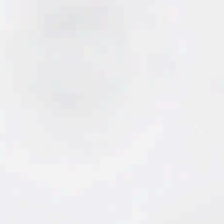H&E stain. 0.5 µm/px. WSI patch.
This field is background (no tissue).
